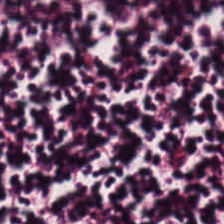Stain: H&E.
Tissue: lymphocyte aggregate.
